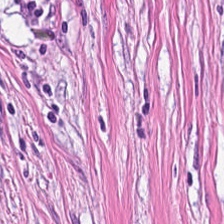224×224 px tile; hematoxylin-and-eosin stained section — Showing cancer-associated stroma.
